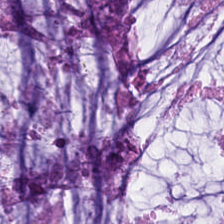FFPE tissue section · 224×224 px tile · H&E.
Classification = extracellular mucin.
